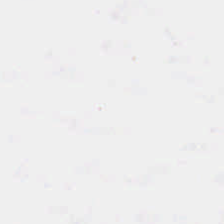Brightfield. H&E — Classification = empty background.
